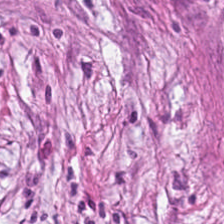Brightfield microscopy · hematoxylin and eosin — {"tissue_type": "tumor stroma"}
